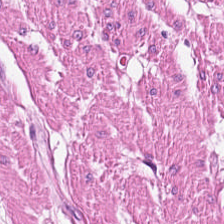Hematoxylin-and-eosin stained section. Formalin-fixed paraffin-embedded section — Impression → muscularis.
